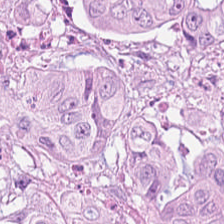Tissue = adenocarcinoma.
